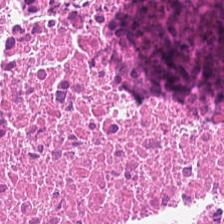The tissue class is cellular debris.
